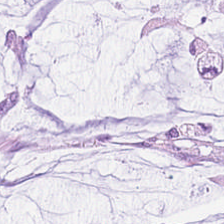Stain: H&E.
Tissue: mucin.
